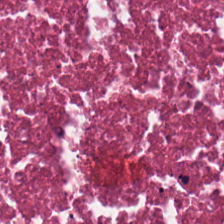Whole-slide-image patch · H&E. Tissue type — necrotic debris.
